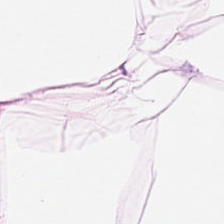Hematoxylin-and-eosin section: fat tissue.
